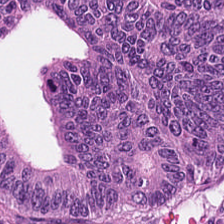Q: What tissue type is shown here?
A: This is adenocarcinoma.
